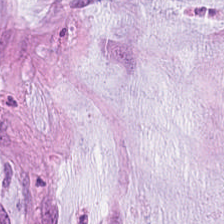H&E stain — Finding — extracellular mucin.
